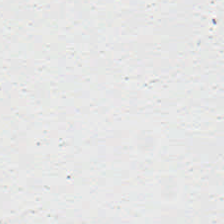Hematoxylin-and-eosin stained section. No tissue.
